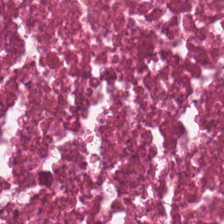Hematoxylin and eosin · formalin-fixed paraffin-embedded section. The tissue here is necrotic debris.
